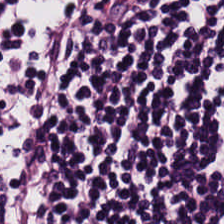{"tissue_type": "lymphocyte aggregate"}
